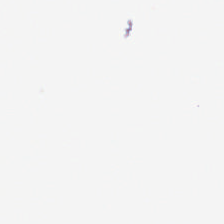H&E stain. 0.5 microns per pixel — Empty field — no tissue.
